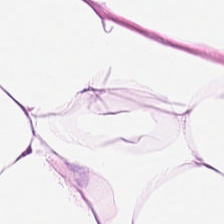H&E · whole-slide-image patch. Tissue: adipose tissue.
